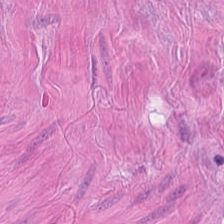FFPE tissue section; 0.5 microns per pixel; H&E-stained tissue section. The predominant tissue is smooth muscle.
